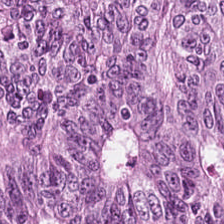Hematoxylin-and-eosin stained section. 224×224 pixel tile.
Tissue — adenocarcinoma.
